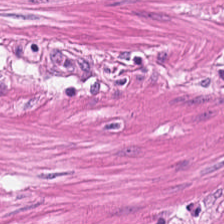H&E — smooth muscle.
